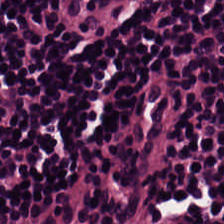H&E — Classification: lymphocytes.
